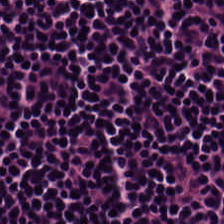Hematoxylin-and-eosin stained section · 0.5 µm per pixel · brightfield. Classification — lymphocytes.
